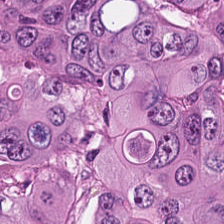224×224 pixel tile; H&E stain; WSI patch — Classification = colorectal adenocarcinoma epithelium.
